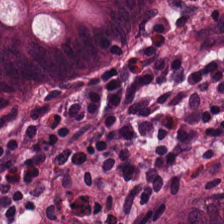Stain: hematoxylin and eosin.
Classification: benign colonic mucosa.
